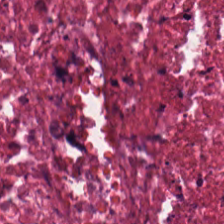H&E stain.
Tissue type = cellular debris.
